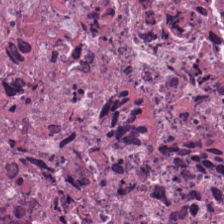Stain: H&E-stained tissue section.
Tissue class: cellular debris.
